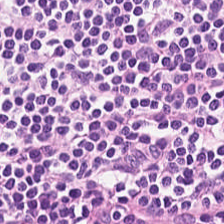Hematoxylin-and-eosin stained section. Showing lymphoid infiltrate.
